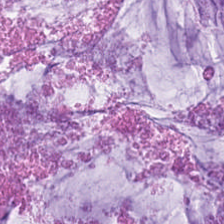H&E — This patch shows mucin.
